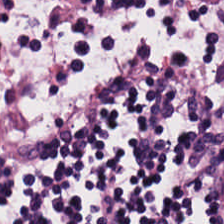Hematoxylin-and-eosin stained section.
The tissue here is lymphocytic infiltrate.
